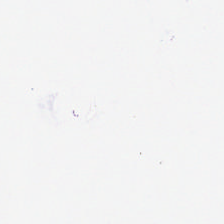H&E-stained tissue section. Whole-slide-image patch. Formalin-fixed paraffin-embedded section.
This field is background (no tissue).
